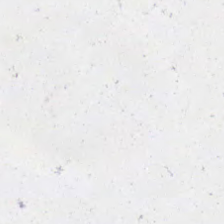Stain: H&E.
Field content: no tissue.
